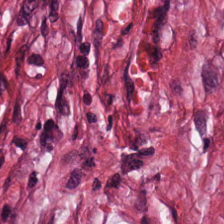0.5 microns per pixel. Hematoxylin-and-eosin stained section. 224×224 px patch. Tumor-associated stroma.
